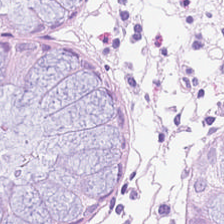Hematoxylin-and-eosin section: normal colon mucosa.
